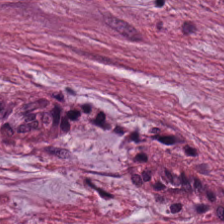Hematoxylin and eosin · 224×224 pixel tile. Predominantly tumor-associated stroma.
